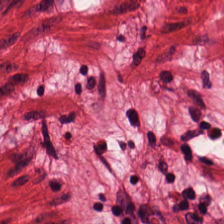H&E-stained tissue section. Predominantly smooth muscle.
